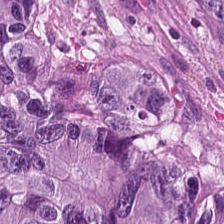H&E stain · brightfield microscopy. Impression → adenocarcinoma.
